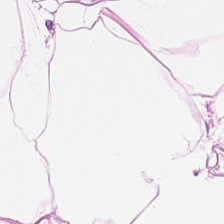H&E stain. Whole-slide-image patch — Predominantly fat tissue.
